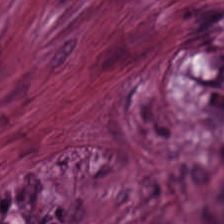Q: What tissue type is shown here?
A: Desmoplastic stroma.
